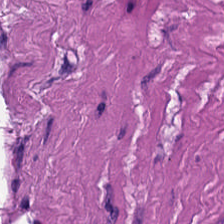H&E-stained tissue section.
Q: Classify this patch.
A: It is smooth muscle.
